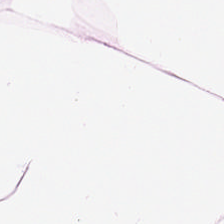Whole-slide-image patch. Hematoxylin-and-eosin stained section.
This field is fat tissue.
